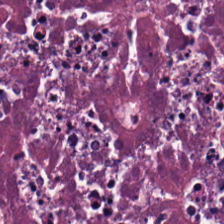Hematoxylin-and-eosin stained section — This patch shows necrotic debris.
